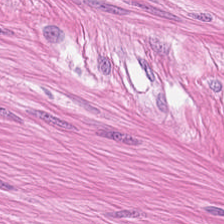WSI patch; formalin-fixed paraffin-embedded section; H&E-stained tissue section — Predominant tissue: smooth muscle.
